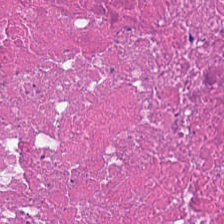The predominant tissue is debris.
